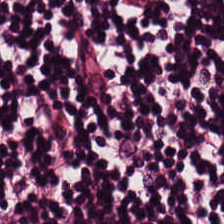Hematoxylin-and-eosin stained section.
Histology → lymphocytes.
